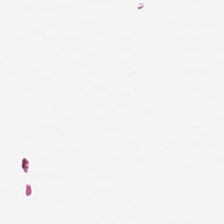FFPE; H&E stain.
Empty field — background (no tissue).
